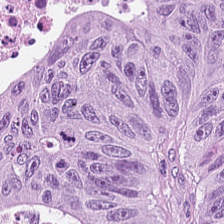H&E-stained tissue section.
Histology — adenocarcinoma.
